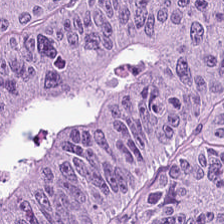FFPE tissue section · hematoxylin and eosin — The tissue here is colorectal adenocarcinoma.
